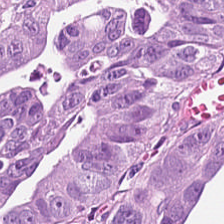FFPE tissue section · hematoxylin and eosin. Tissue = malignant epithelium.
